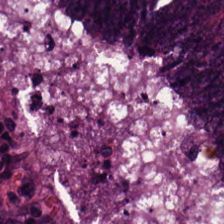Hematoxylin and eosin; 224×224 px tile — Predominant tissue — colorectal adenocarcinoma.
